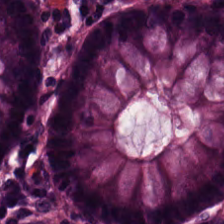Histology — normal colon mucosa.
